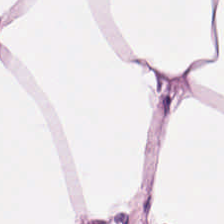224×224 pixel tile; H&E; FFPE tissue section.
Q: What tissue is shown?
A: The field shows adipose tissue.
